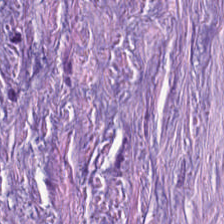The tissue class is desmoplastic stroma.
